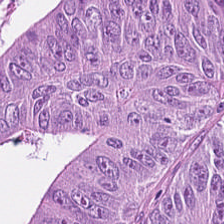H&E. 0.5 µm per pixel — Classification: tumor epithelium.
